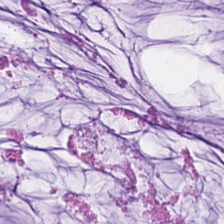Classification: mucin.
